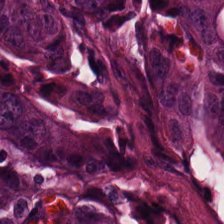H&E — This field is tumor epithelium.
